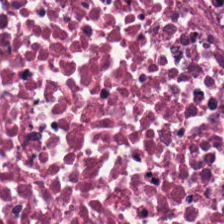Stain: H&E.
Tissue: necrotic debris.
